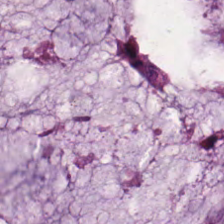H&E stain. Classification — mucin.
